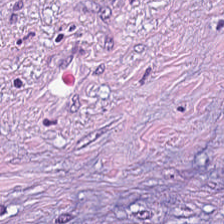0.5 microns per pixel; H&E stain. Impression — tumor stroma.
